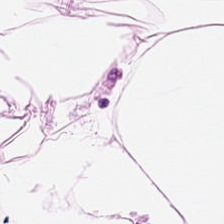Tissue class — adipocytes.
